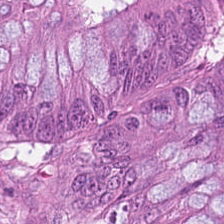Hematoxylin-and-eosin stained section. 20× equivalent magnification.
This field is tumor epithelium.
